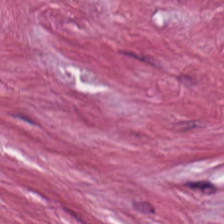H&E stain · 0.5 µm/px · whole-slide-image patch.
Finding → cancer-associated stroma.
